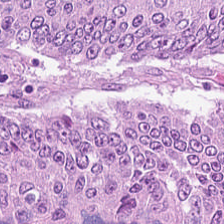Tissue type — tumor epithelium.
